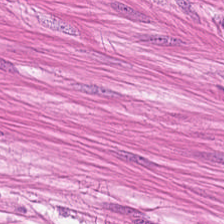Hematoxylin-and-eosin stained section — Q: What is the predominant tissue type?
A: Smooth muscle.
